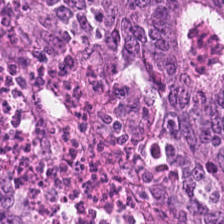Hematoxylin and eosin · 224×224 px patch — Impression — colorectal adenocarcinoma epithelium.
